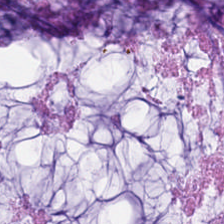H&E stain · 224×224 px tile — Tissue: mucin.
